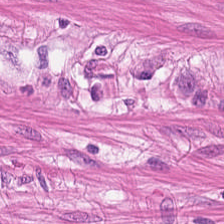224×224 pixel tile. Hematoxylin-and-eosin stained section. Whole-slide-image patch.
The tissue here is smooth muscle.
